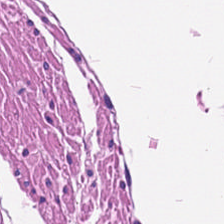Hematoxylin and eosin — This patch shows muscularis.
